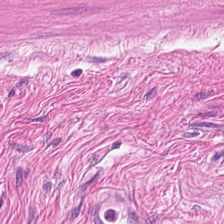Stain: H&E stain.
Tile size: 224×224 px tile.
Classification: smooth muscle.
